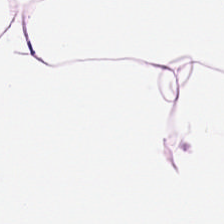Stain: H&E stain.
Resolution: 0.5 µm per pixel.
Tissue class: adipocytes.
